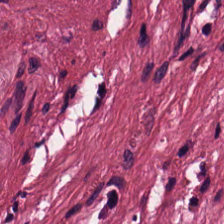Tissue type = tumor stroma.
